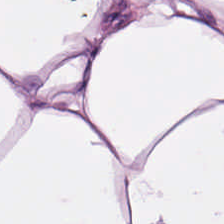224×224 px tile · H&E stain.
Classification: adipocytes.
